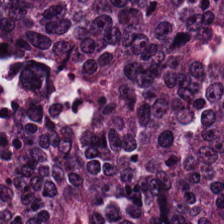Hematoxylin and eosin; 0.5 µm/px.
This patch shows adenocarcinoma.
